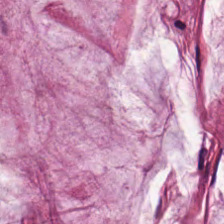Stain: hematoxylin-and-eosin stained section.
Predominant tissue: mucin.
